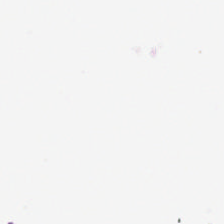Hematoxylin and eosin · brightfield.
Impression — background (no tissue).
